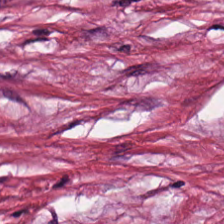The predominant tissue is desmoplastic stroma.
